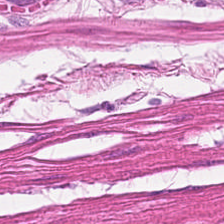H&E stain; 224×224 px patch.
Smooth-muscle tissue.
